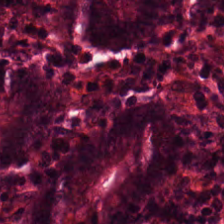H&E-stained tissue section.
Q: What tissue is shown?
A: This is normal colonic mucosa.
